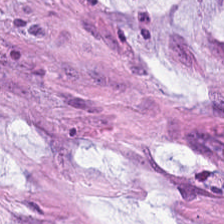Stain: H&E.
Classification: mucin.
